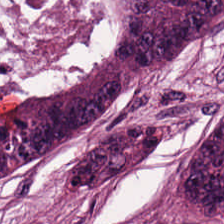0.5 µm per pixel; hematoxylin-and-eosin stained section; brightfield. Predominantly malignant epithelium.
